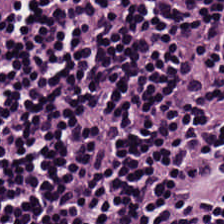H&E — Predominantly lymphocytic infiltrate.
